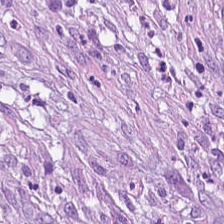H&E stain — This field is tumor stroma.
